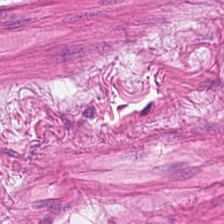Hematoxylin-and-eosin section: smooth muscle.
